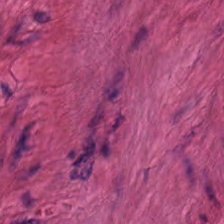H&E stain.
Q: Classify this patch.
A: This is smooth-muscle tissue.
